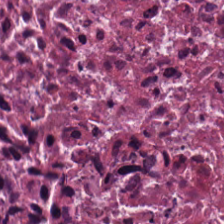Q: What is shown in this field?
A: This is necrotic debris.
